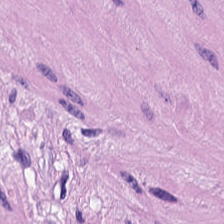H&E.
Q: What does this patch show?
A: Smooth-muscle tissue.
